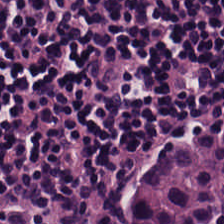Stain: hematoxylin-and-eosin stained section.
Acquisition: brightfield microscopy.
Resolution: 0.5 µm per pixel.
Classification: lymphocytes.
